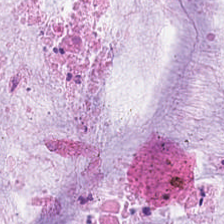Hematoxylin-and-eosin stained section.
Q: What type of tissue is this?
A: This is mucus.
